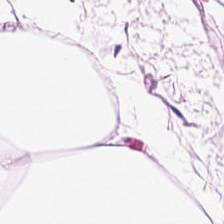The tissue is adipose.
